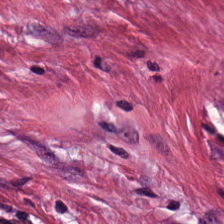H&E. Showing cancer-associated stroma.
